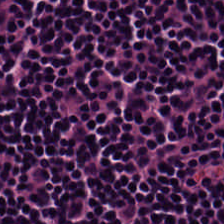FFPE tissue section. Hematoxylin-and-eosin stained section. WSI patch. The tissue here is lymphocytes.
